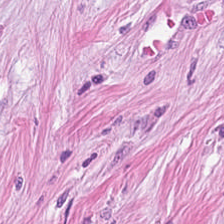H&E stain. 224×224 pixel tile — Classification — desmoplastic stroma.
